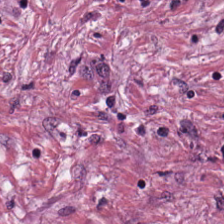FFPE. H&E-stained tissue section. {"tissue_type": "tumor stroma"}
